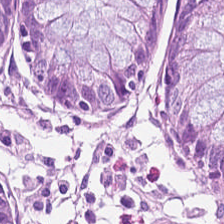H&E.
{"tissue_type": "normal colonic mucosa"}
